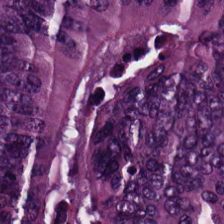Hematoxylin and eosin. Histology → tumor epithelium.
